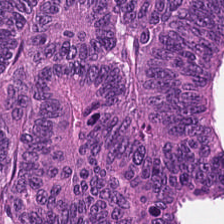224×224 px patch. Hematoxylin-and-eosin stained section. Tissue — colorectal adenocarcinoma.
